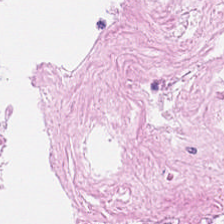Brightfield. H&E-stained tissue section — Q: What tissue is shown?
A: Debris.
